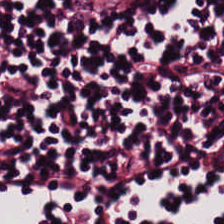Hematoxylin and eosin. WSI patch — Showing lymphocyte aggregate.
